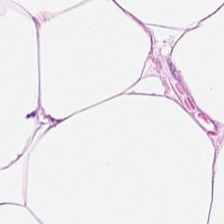Hematoxylin and eosin · 20× equivalent magnification — Predominant tissue: fat tissue.
